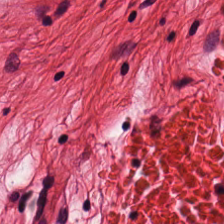Finding — smooth-muscle tissue.
